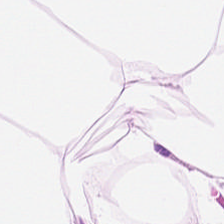Formalin-fixed paraffin-embedded section. Hematoxylin and eosin — Showing adipose tissue.
